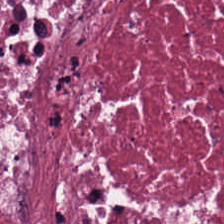H&E stain — Q: What type of tissue is this?
A: It is necrotic debris.
